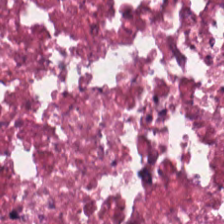Tissue class — debris.
